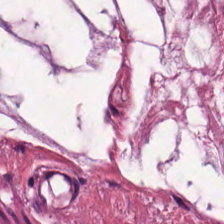Formalin-fixed paraffin-embedded section · 20× equivalent magnification · hematoxylin-and-eosin stained section — This field is mucus.
